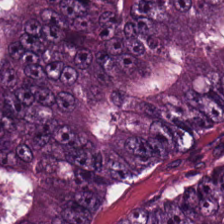H&E. 224×224 px patch.
Malignant epithelium.
